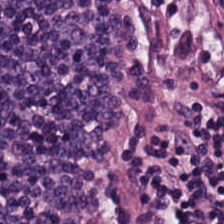H&E.
Showing lymphoid infiltrate.
